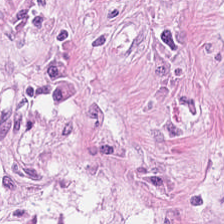H&E-stained tissue section.
The tissue here is desmoplastic stroma.
